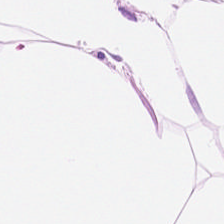H&E; FFPE. Predominant tissue = adipocytes.
